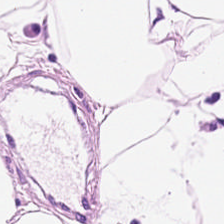H&E-stained tissue section.
{"tissue_type": "adipose"}
